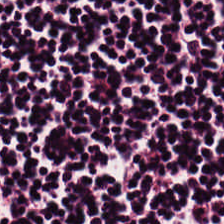H&E — Lymphoid infiltrate.
